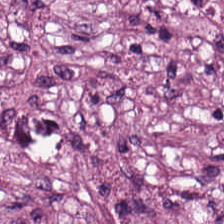The tissue class is tumor-associated stroma.
